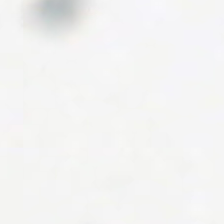Q: What does this patch show?
A: This is empty background.
